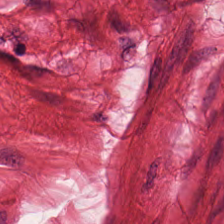H&E. FFPE tissue section.
This field is smooth-muscle tissue.
